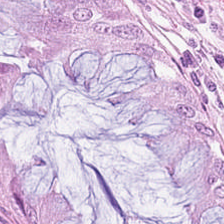FFPE tissue section. H&E — Predominant tissue: benign colonic mucosa.
